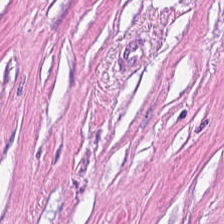Finding → tumor stroma.
